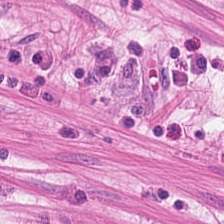FFPE tissue section. H&E stain. 224×224 pixel tile. The tissue type is smooth muscle.
